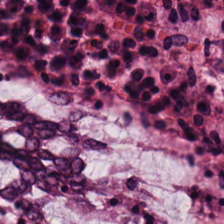WSI patch; 224×224 px patch; H&E-stained tissue section — Tissue class = normal colonic mucosa.
